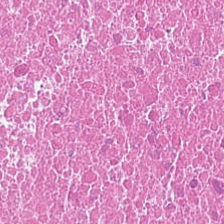Stain: hematoxylin and eosin.
Tissue: necrotic debris.
